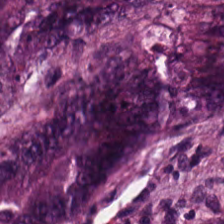Tissue class = adenocarcinoma.
